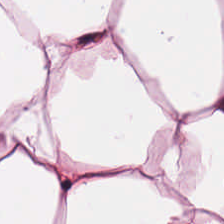H&E-stained section; the field shows adipose tissue.
